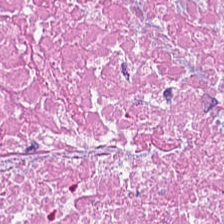Predominantly necrotic debris.
